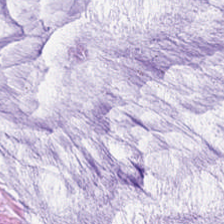Stain: hematoxylin and eosin.
Classification: mucus.
